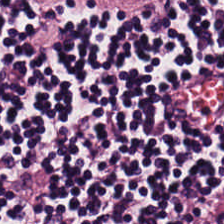The tissue is lymphoid infiltrate.
